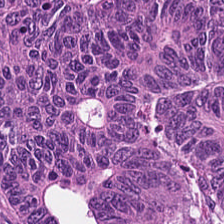H&E.
This patch shows tumor epithelium.
